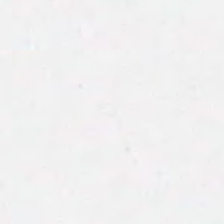Hematoxylin-and-eosin stained section; brightfield.
Field content: empty background.
